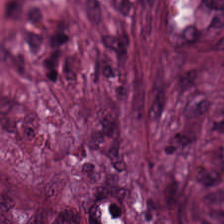Hematoxylin-and-eosin stained section · FFPE tissue section — The tissue here is cancer-associated stroma.
